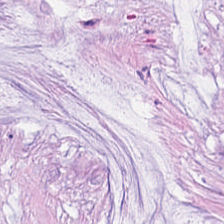H&E-stained tissue section · FFPE. Predominant tissue = mucin.
